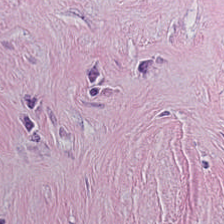Q: What is shown in this field?
A: This is tumor stroma.
